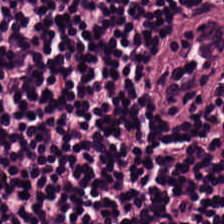H&E stain · 224×224 pixel tile. Tissue class = lymphocyte aggregate.
